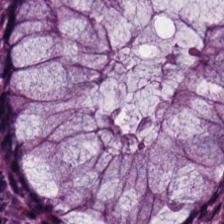Hematoxylin and eosin. Impression — benign colonic mucosa.
